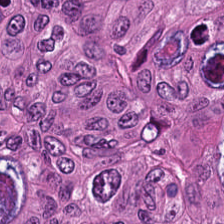224×224 px patch. Hematoxylin and eosin.
This field is colorectal adenocarcinoma epithelium.
